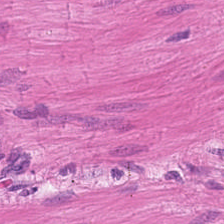Stain: hematoxylin and eosin.
Tissue class: smooth muscle.
